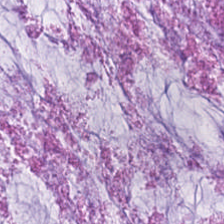0.5 µm per pixel. Hematoxylin-and-eosin stained section — This field is mucus.
